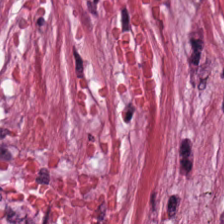Hematoxylin-and-eosin stained section — Classification = tumor-associated stroma.
